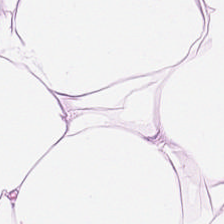H&E stain. This patch shows adipose.
